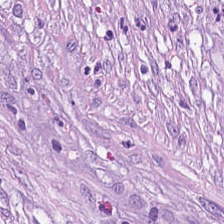Q: What tissue type is shown here?
A: The field shows tumor stroma.
